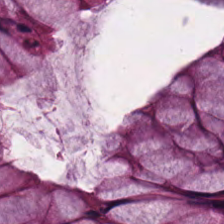H&E. The tissue here is benign colonic mucosa.
